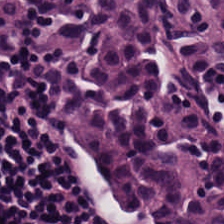Stain: hematoxylin-and-eosin stained section.
Tissue type: lymphocytic infiltrate.
